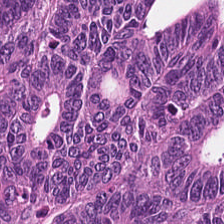Hematoxylin and eosin. Brightfield microscopy. Classification: adenocarcinoma.
